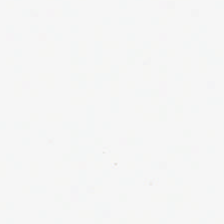Stain: hematoxylin-and-eosin stained section.
Content: empty background.
